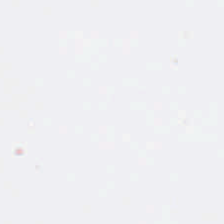Hematoxylin and eosin.
No tissue present; background only.
